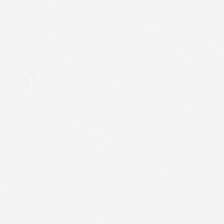224×224 pixel tile; H&E stain; 20× equivalent magnification. Classification: empty background.
